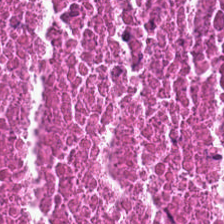H&E-stained tissue section. WSI patch. 224×224 pixel tile — Predominantly debris.
